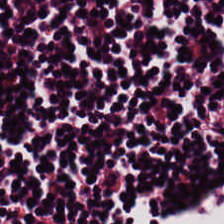Stain: H&E.
Classification: lymphocytes.
